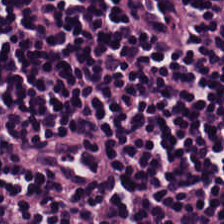FFPE · H&E.
This field is lymphocytes.
